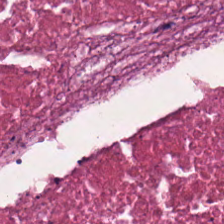Hematoxylin-and-eosin section: cellular debris.
